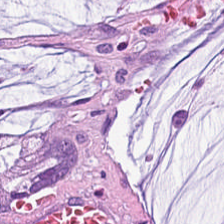Hematoxylin and eosin. Whole-slide-image patch. Classification — extracellular mucin.
